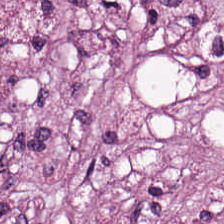0.5 µm per pixel. H&E stain. 224×224 pixel tile — Finding — tumor-associated stroma.
